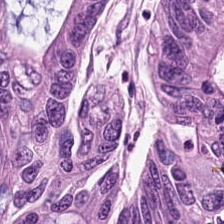Hematoxylin and eosin. Q: What is shown in this field?
A: Colorectal adenocarcinoma.
